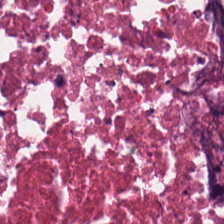H&E — debris.
